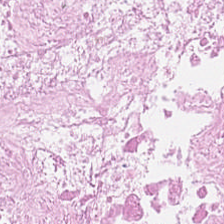Whole-slide-image patch; H&E stain — Tissue — cellular debris.
